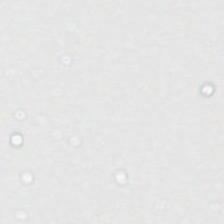Stain: H&E.
Resolution: 0.5 µm/px.
Content: background (no tissue).
